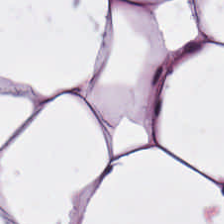H&E stain. 224×224 px patch. Fat tissue.
